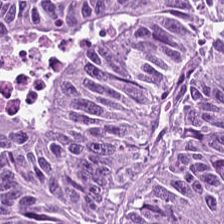H&E-stained tissue section — This patch shows tumor epithelium.
